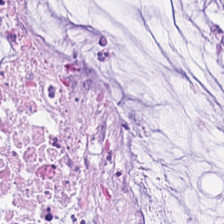Stain: H&E stain.
Tissue: mucin.
